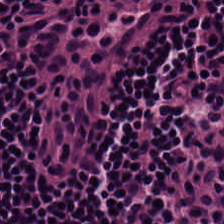Hematoxylin-and-eosin stained section.
Finding → lymphoid infiltrate.
